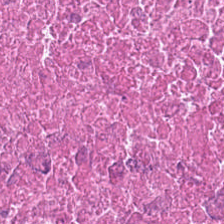Q: What is the predominant tissue type?
A: This is debris.
